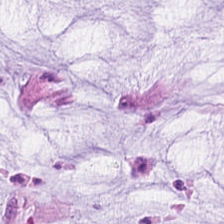Q: What is the predominant tissue type?
A: This is mucus.
